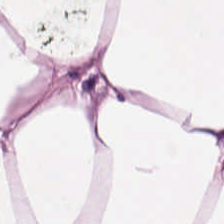Predominant tissue = adipocytes.
